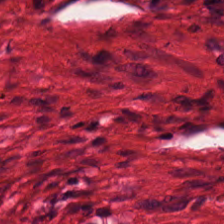Brightfield microscopy · 20× equivalent magnification · hematoxylin and eosin.
Finding — smooth-muscle tissue.
